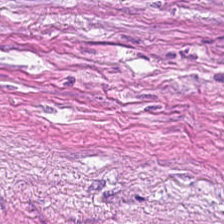224×224 pixel tile · formalin-fixed paraffin-embedded section · H&E — The tissue class is cancer-associated stroma.
